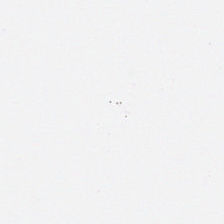Hematoxylin-and-eosin stained section.
Q: What does this patch show?
A: This is background.
